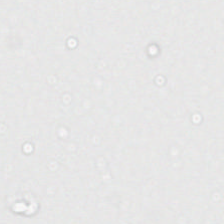Background (no tissue).
